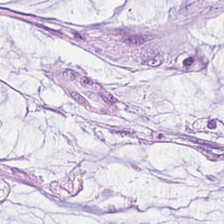H&E stain. Q: What is shown in this field?
A: Mucus.
